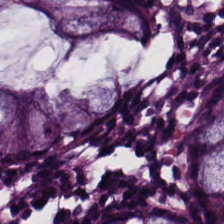224×224 pixel tile. WSI patch. H&E stain.
Q: Identify the tissue.
A: It is normal colon mucosa.
